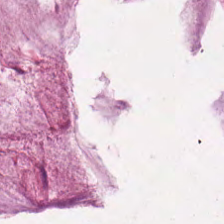Classification: mucus.
